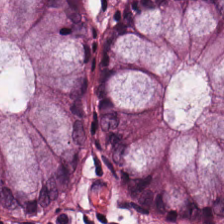Tissue: non-neoplastic colon mucosa.
